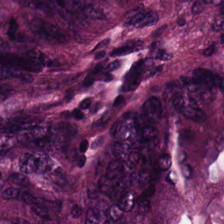H&E-stained tissue section.
Q: What tissue is shown?
A: It is tumor epithelium.
